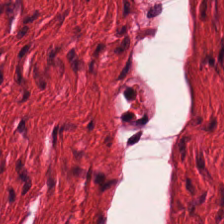H&E. This patch shows muscularis.
